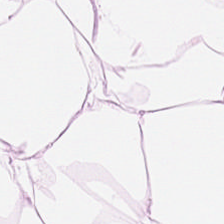20× equivalent magnification. H&E-stained tissue section. Adipose tissue.
